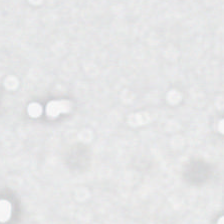H&E-stained tissue section.
Empty background.
